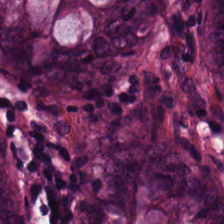H&E.
Histology — benign colonic mucosa.
